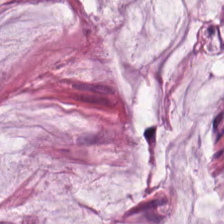Stain: hematoxylin-and-eosin stained section.
Acquisition: WSI patch.
Tissue type: mucin.
